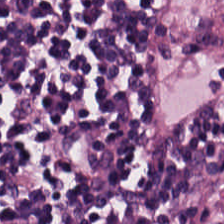Hematoxylin and eosin; WSI patch — The predominant tissue is lymphocyte aggregate.
